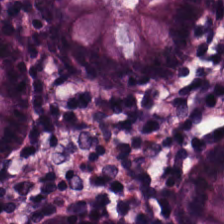FFPE tissue section; H&E stain; brightfield microscopy.
Tissue class — non-neoplastic colon mucosa.
